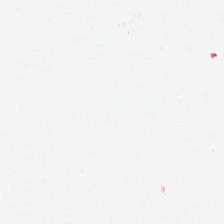Hematoxylin-and-eosin stained section · brightfield microscopy · FFPE.
Background.
